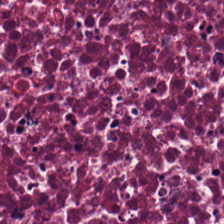Whole-slide-image patch · 0.5 µm/px · hematoxylin-and-eosin stained section. This field is debris.
